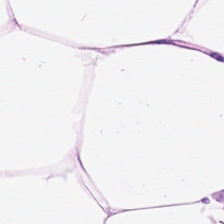Predominant tissue: adipose.
